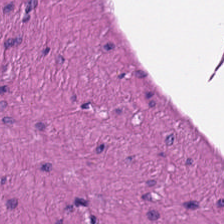0.5 µm/px; hematoxylin and eosin; WSI patch.
The tissue class is muscularis.
